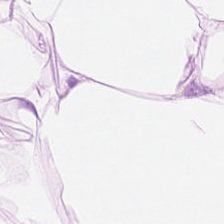Whole-slide-image patch. Hematoxylin and eosin. 224×224 px tile. Finding → adipose tissue.
